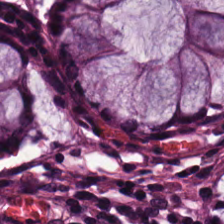0.5 µm/px. H&E-stained tissue section.
The predominant tissue is benign colonic mucosa.
